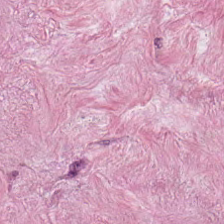Hematoxylin-and-eosin stained section. FFPE tissue section. Predominantly cancer-associated stroma.
